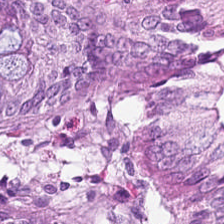Stain: hematoxylin and eosin.
Predominant tissue: benign colonic mucosa.
